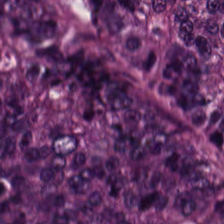Hematoxylin and eosin — Predominantly colorectal adenocarcinoma epithelium.
